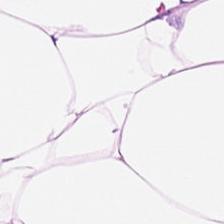Stain: hematoxylin and eosin.
Acquisition: whole-slide-image patch.
Predominant tissue: adipocytes.
